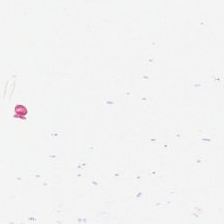Stain: H&E.
Preparation: FFPE.
Field content: background (no tissue).
